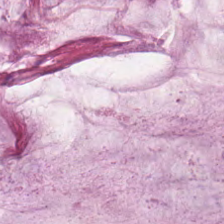Hematoxylin and eosin · formalin-fixed paraffin-embedded section · 0.5 microns per pixel.
Finding → mucin.
